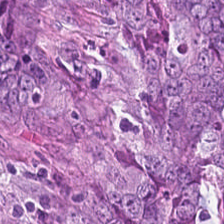H&E · FFPE tissue section · 224×224 pixel tile.
Tissue: colorectal adenocarcinoma epithelium.
